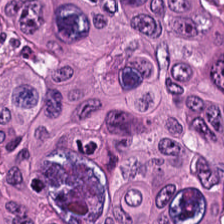H&E stain. Predominantly colorectal adenocarcinoma epithelium.
